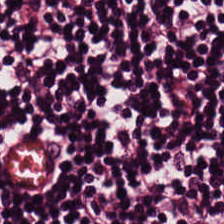H&E-stained tissue section. Q: What is the predominant tissue type?
A: The field shows lymphocyte aggregate.
